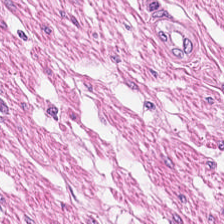Stain: H&E.
Tissue: smooth muscle.
